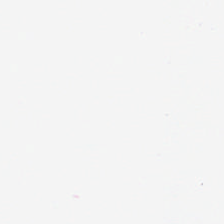Finding → no tissue.
